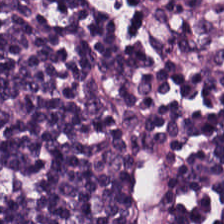Hematoxylin-and-eosin stained section; 20× equivalent magnification — Tissue type — lymphocytic infiltrate.
